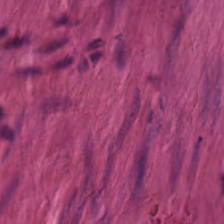H&E-stained tissue section; 224×224 px tile.
Predominant tissue = muscularis.
